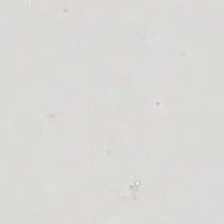Hematoxylin and eosin; FFPE tissue section. Field content — background (no tissue).
